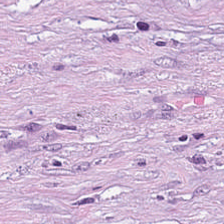Tissue type — tumor-associated stroma.
